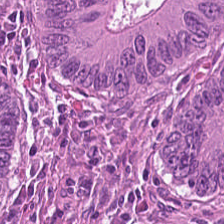H&E · FFPE · 224×224 px tile. Adenocarcinoma.
